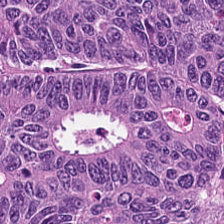Hematoxylin and eosin. 224×224 px tile.
The predominant tissue is colorectal adenocarcinoma.
